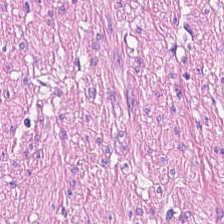H&E stain. Finding — smooth muscle.
